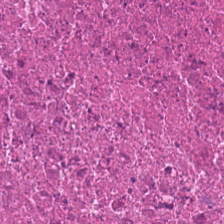Hematoxylin-and-eosin stained section — The tissue here is cellular debris.
